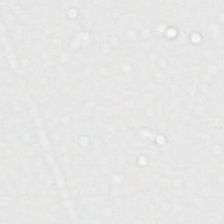H&E-stained tissue section — Background (no tissue).
